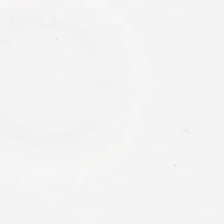H&E-stained tissue section.
Background — no tissue in this field.
